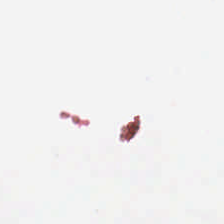WSI patch; H&E; FFPE tissue section. Q: What is shown in this field?
A: The field shows no tissue.
